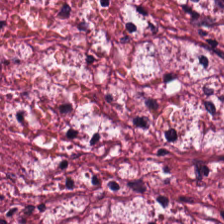H&E-stained tissue section · brightfield microscopy — Tissue = desmoplastic stroma.
